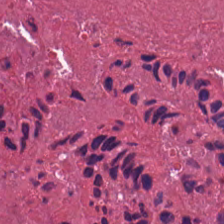Hematoxylin and eosin · 224×224 px tile · WSI patch — The predominant tissue is debris.
